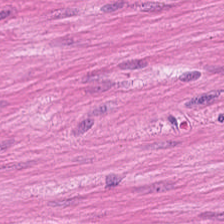H&E-stained tissue section. WSI patch. 0.5 µm/px — Predominant tissue: smooth-muscle tissue.
